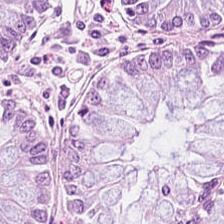Hematoxylin and eosin; brightfield microscopy.
Histology → normal colon mucosa.
